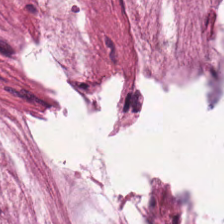The classification is mucin.
